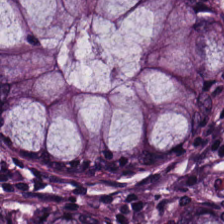224×224 px patch · H&E-stained tissue section · 0.5 µm/px. Q: Classify this patch.
A: The field shows normal colonic mucosa.
